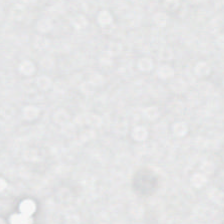Hematoxylin-and-eosin stained section.
Background — no tissue in this field.
